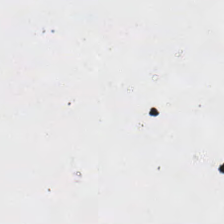H&E stain.
The field content is background (no tissue).
